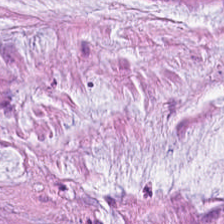0.5 microns per pixel · H&E-stained tissue section. Tissue type = extracellular mucin.
